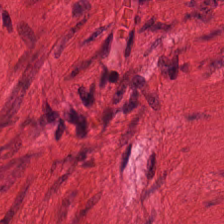Q: Identify the tissue.
A: The field shows smooth muscle.
